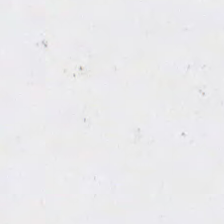H&E stain. 0.5 microns per pixel — Q: What is shown in this field?
A: Background.
